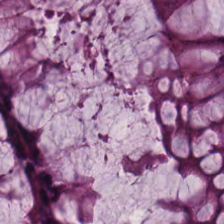H&E stain. Formalin-fixed paraffin-embedded section.
Classification — benign colonic mucosa.
